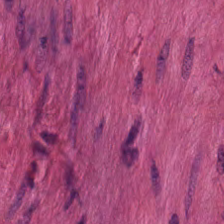Stain: hematoxylin and eosin.
Preparation: FFPE tissue section.
Tile size: 224×224 px tile.
Tissue type: muscularis.
